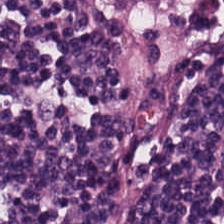Formalin-fixed paraffin-embedded section. Hematoxylin and eosin. 0.5 µm/px.
Q: What tissue type is shown here?
A: This is lymphocytic infiltrate.
